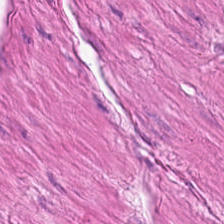0.5 µm per pixel; FFPE tissue section; H&E stain — Impression → smooth-muscle tissue.
